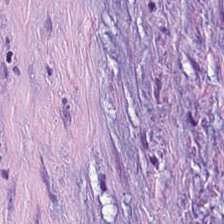Whole-slide-image patch · H&E stain — Predominantly cancer-associated stroma.
